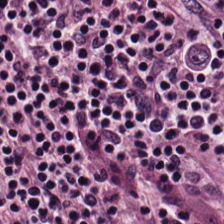This patch shows lymphocyte aggregate.
